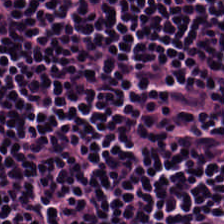Stain: H&E stain.
Tissue: lymphoid infiltrate.
